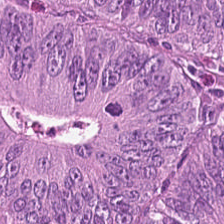H&E-stained section; the field shows colorectal adenocarcinoma.
